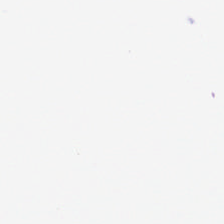H&E stain — Classification — no tissue.
